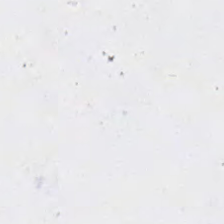20× equivalent magnification. Hematoxylin-and-eosin stained section. FFPE tissue section — No tissue.
